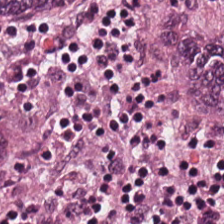Hematoxylin-and-eosin stained section · 0.5 microns per pixel · brightfield microscopy. {"tissue_type": "colorectal adenocarcinoma epithelium"}
